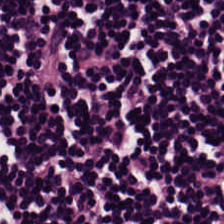H&E stain. The tissue here is lymphocyte aggregate.
